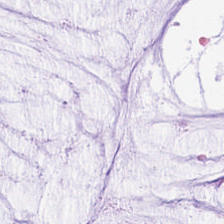Formalin-fixed paraffin-embedded section · whole-slide-image patch · hematoxylin-and-eosin stained section. Showing mucin.
